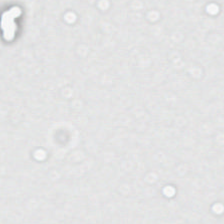H&E.
Impression → background (no tissue).
